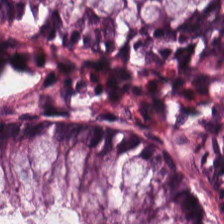Hematoxylin and eosin.
Histology — benign colonic mucosa.
